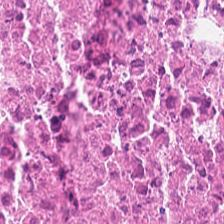Hematoxylin-and-eosin stained section; 224×224 px patch; WSI patch. {"tissue_type": "debris"}
